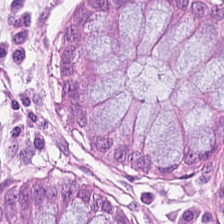H&E stain · 20× equivalent magnification · 224×224 px patch. Q: Identify the tissue.
A: The field shows normal colonic mucosa.
